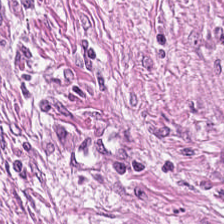Stain: H&E.
Tile size: 224×224 pixel tile.
Classification: cancer-associated stroma.
